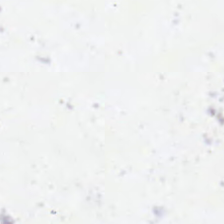H&E-stained tissue section. Classification — no tissue.
